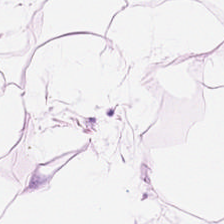Hematoxylin-and-eosin stained section — Adipose tissue.
